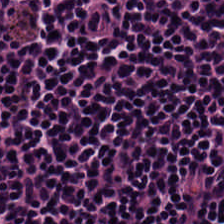H&E-stained tissue section.
Predominantly lymphocytic infiltrate.
